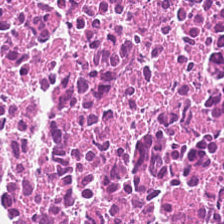Brightfield microscopy; 0.5 microns per pixel; hematoxylin-and-eosin stained section. This field is necrotic debris.
